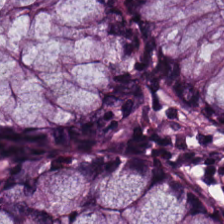H&E-stained tissue section. This field is normal colon mucosa.
